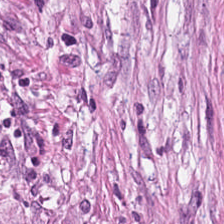H&E; whole-slide-image patch.
Impression → desmoplastic stroma.
